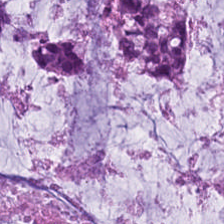Hematoxylin-and-eosin stained section.
Tissue: mucus.
